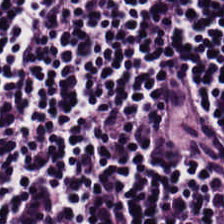Q: Identify the tissue.
A: This is lymphocytes.
